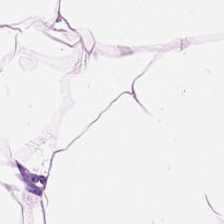H&E.
Q: What is shown in this field?
A: It is adipose tissue.
